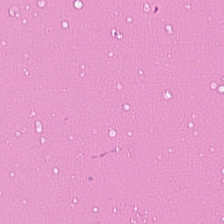Hematoxylin and eosin — Finding → cellular debris.
